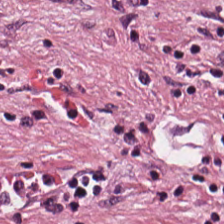Hematoxylin and eosin.
This field is cancer-associated stroma.
